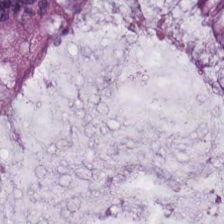H&E stain; FFPE tissue section; 0.5 µm/px — Predominantly normal colonic mucosa.
